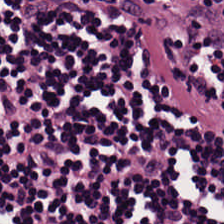0.5 µm per pixel · hematoxylin and eosin · formalin-fixed paraffin-embedded section.
Classification — lymphocytic infiltrate.
